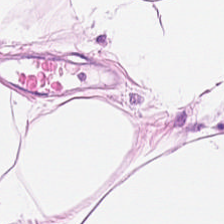Adipose tissue.
